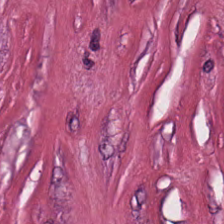H&E stain — The predominant tissue is tumor-associated stroma.
